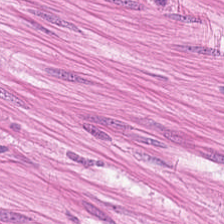H&E-stained tissue section; 0.5 µm/px — This field is smooth muscle.
